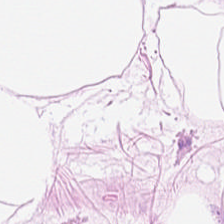Showing fat tissue.
